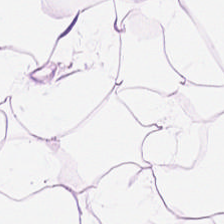Hematoxylin-and-eosin section: adipocytes.
